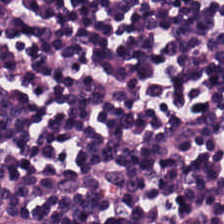The tissue type is lymphocyte aggregate.
